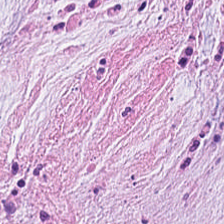H&E stain · 0.5 µm/px.
The predominant tissue is desmoplastic stroma.
